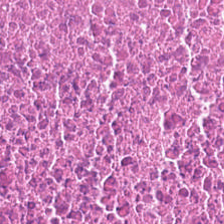Hematoxylin-and-eosin stained section · 224×224 pixel tile · formalin-fixed paraffin-embedded section.
Classification: necrotic debris.
